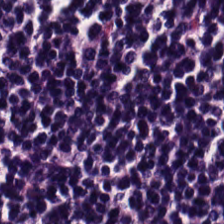Hematoxylin-and-eosin stained section — Histology — lymphocytes.
